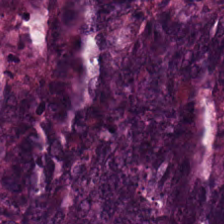224×224 pixel tile. H&E stain — Q: What does this patch show?
A: Colorectal adenocarcinoma.
